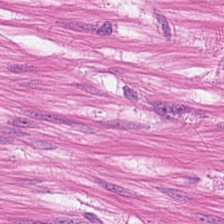H&E-stained tissue section.
Predominantly smooth-muscle tissue.
